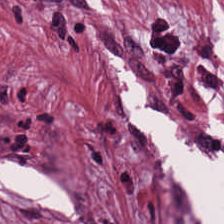H&E stain; 0.5 microns per pixel; 224×224 pixel tile. Impression — tumor stroma.
